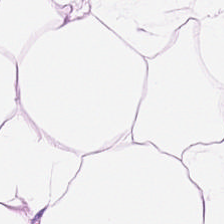224×224 pixel tile; 20× equivalent magnification; hematoxylin and eosin.
Showing fat tissue.
